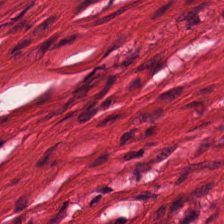Predominantly smooth muscle.
